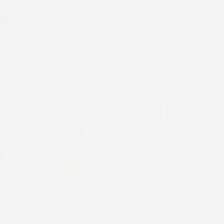Background — no tissue in this field.
